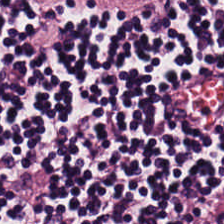FFPE tissue section; hematoxylin and eosin.
Q: What is the predominant tissue type?
A: It is lymphocytic infiltrate.
